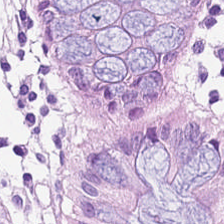Predominant tissue — normal colonic mucosa.
